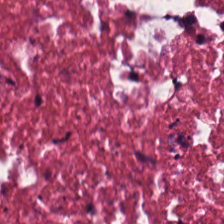Tissue class = cellular debris.
